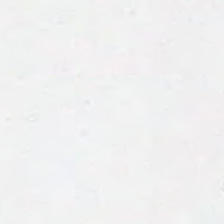Q: Classify this patch.
A: No tissue.
